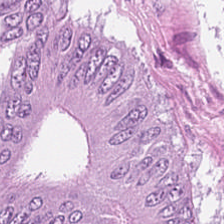H&E. Finding — adenocarcinoma.
